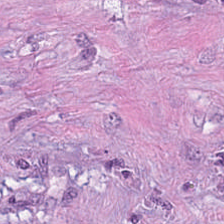Hematoxylin-and-eosin stained section · 224×224 pixel tile — The tissue here is tumor stroma.
